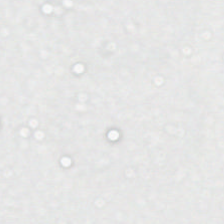Brightfield microscopy; H&E — Q: What is shown here?
A: Empty background.
